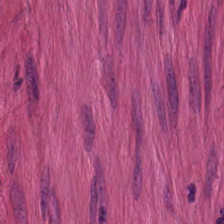Hematoxylin and eosin. 0.5 microns per pixel. FFPE tissue section — Classification = smooth-muscle tissue.
